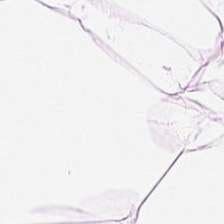{"tissue_type": "fat tissue"}
